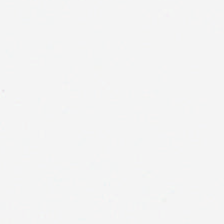H&E-stained tissue section.
Q: What is shown in this field?
A: This is background (no tissue).
